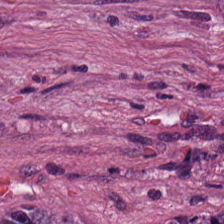WSI patch · hematoxylin-and-eosin stained section. This patch shows cancer-associated stroma.
